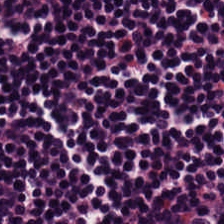H&E stain — Predominantly lymphocyte aggregate.
